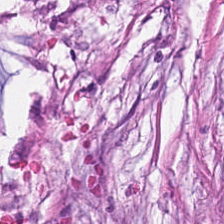H&E. This patch shows tumor stroma.
